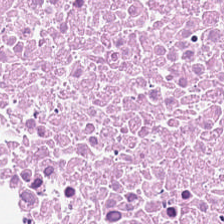H&E stain. Q: What is shown here?
A: Cellular debris.
